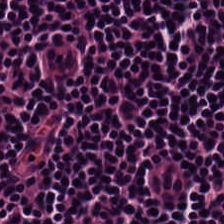H&E. Tissue class = lymphocyte aggregate.
